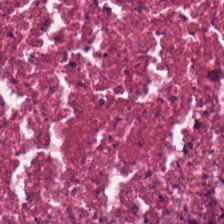Hematoxylin-and-eosin stained section · 224×224 px patch.
Classification = debris.
